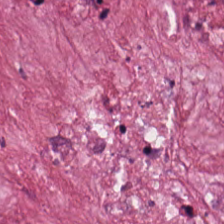FFPE; 224×224 px tile; H&E stain.
Desmoplastic stroma.
